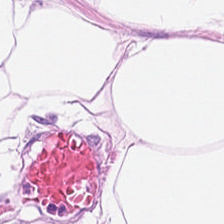Hematoxylin and eosin. Formalin-fixed paraffin-embedded section.
Impression — adipose.
